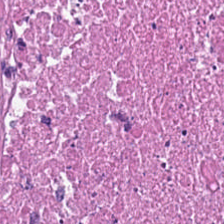Finding → necrotic debris.
